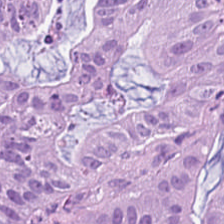H&E stain.
Showing tumor epithelium.
